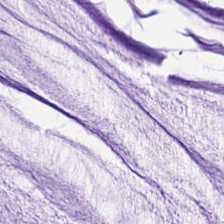H&E stain — The tissue class is mucus.
